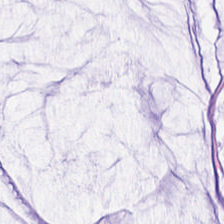H&E stain. Predominantly mucin.
